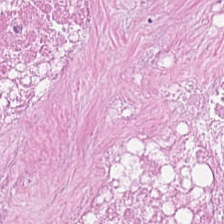Stain: hematoxylin-and-eosin stained section.
Tissue: cellular debris.
